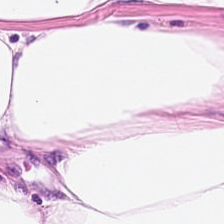224×224 pixel tile · H&E stain · 0.5 µm/px. Tissue type = adipose tissue.
